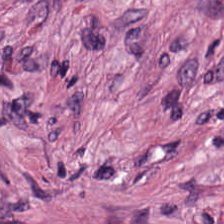Tissue type: desmoplastic stroma.
